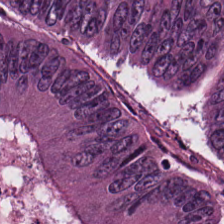0.5 µm/px; formalin-fixed paraffin-embedded section; H&E-stained tissue section.
Q: What is shown here?
A: Tumor epithelium.
